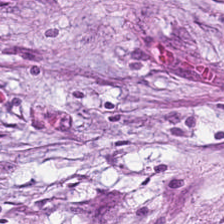Hematoxylin-and-eosin stained section.
Histology — desmoplastic stroma.
